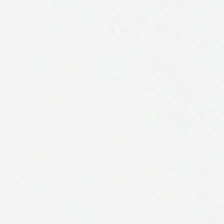Q: What is shown in this field?
A: It is background.
